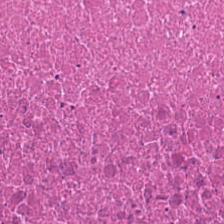20× equivalent magnification; H&E-stained tissue section.
Predominant tissue: cellular debris.
